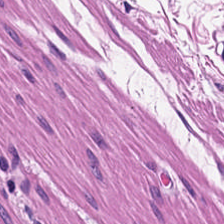Stain: H&E stain.
Tissue: smooth muscle.
